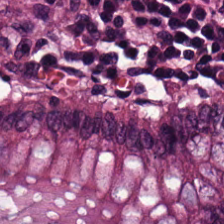This patch shows non-neoplastic colon mucosa.
